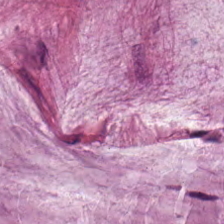Hematoxylin-and-eosin section: mucus.
